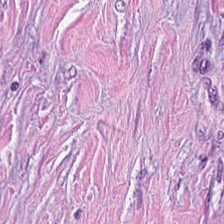H&E stain.
Classification: desmoplastic stroma.
